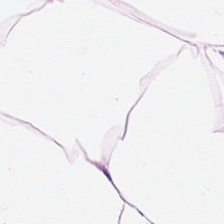0.5 µm/px; hematoxylin-and-eosin stained section — The predominant tissue is adipocytes.
